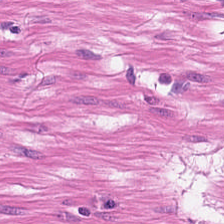Tissue = muscularis.
